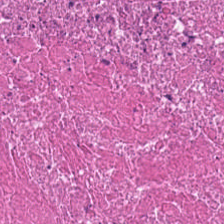The tissue is cellular debris.
